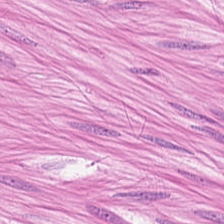The classification is muscularis.
